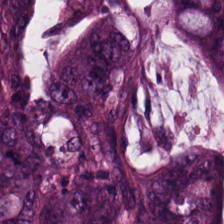Tissue class — adenocarcinoma.
